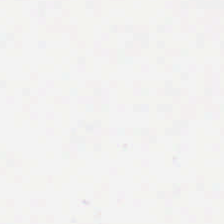H&E-stained tissue section. The classification is background.
